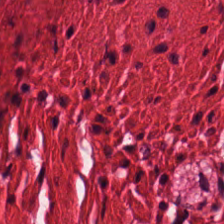Whole-slide-image patch; 224×224 px patch; H&E-stained tissue section.
Impression — smooth-muscle tissue.
